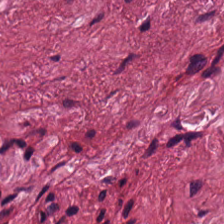Hematoxylin-and-eosin stained section.
Q: What is shown in this field?
A: It is tumor stroma.
